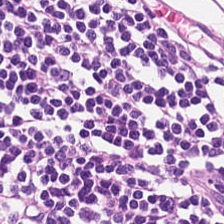Hematoxylin-and-eosin stained section — Q: What tissue is shown?
A: This is lymphocyte aggregate.
